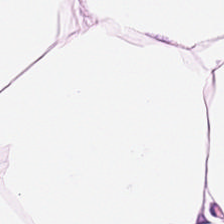H&E. Whole-slide-image patch. Histology → adipose.
